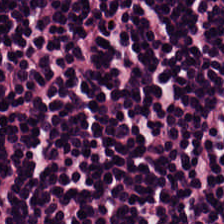This field is lymphocytes.
